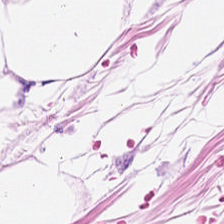H&E-stained tissue section — This patch shows fat tissue.
